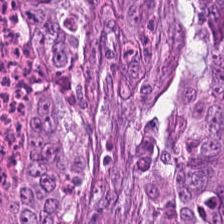Stain: H&E.
Predominant tissue: adenocarcinoma.
